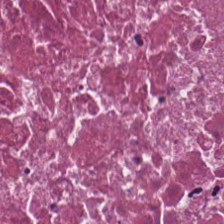Stain: hematoxylin-and-eosin stained section.
Tissue type: necrotic debris.
